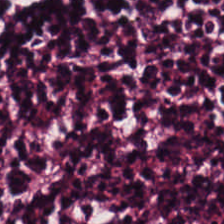Tissue type: lymphocytes.
